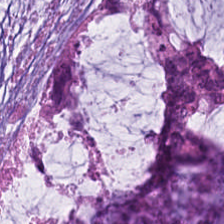H&E. Mucus.
